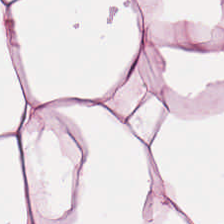Brightfield microscopy · H&E-stained tissue section.
Fat tissue.
